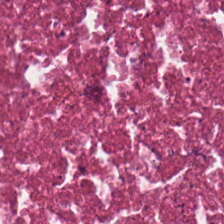This field is cellular debris.
